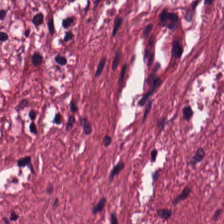{"tissue_type": "tumor-associated stroma"}
